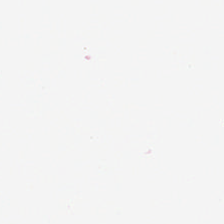Hematoxylin and eosin; FFPE — Content = empty background.
